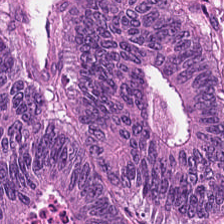H&E stain. Tissue — colorectal adenocarcinoma.
